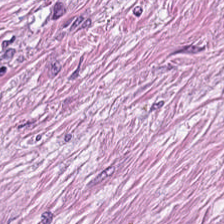H&E-stained tissue section — {"tissue_type": "tumor-associated stroma"}
